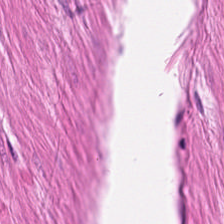Stain: hematoxylin and eosin.
Predominant tissue: muscularis.
